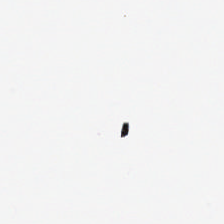This patch shows empty background.
